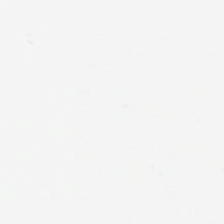Hematoxylin and eosin · 224×224 pixel tile — No tissue.
